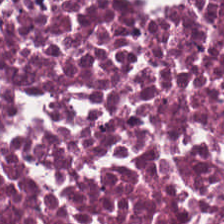H&E-stained tissue section. Cellular debris.
